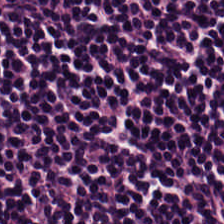FFPE. H&E.
Q: What is shown in this field?
A: The field shows lymphocytes.
